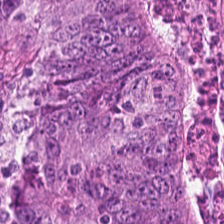Tissue class: adenocarcinoma.
